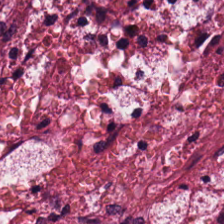Classification = cancer-associated stroma.
